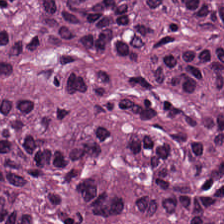H&E stain; FFPE tissue section. Predominantly colorectal adenocarcinoma.
